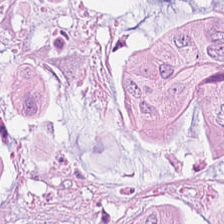Hematoxylin and eosin. Tissue type — malignant epithelium.
